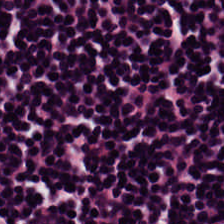H&E. Finding → lymphocytes.
